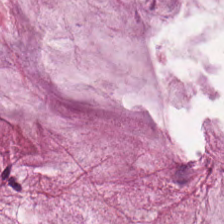224×224 px tile; WSI patch; H&E. Mucus.
